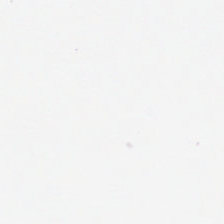20× equivalent magnification; hematoxylin and eosin.
Background (no tissue).
